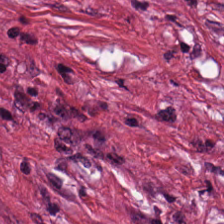Classification — tumor-associated stroma.
